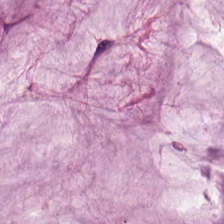224×224 pixel tile; H&E stain; brightfield.
Impression — extracellular mucin.
